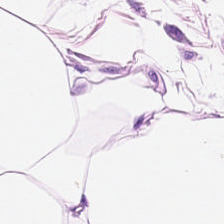H&E stain. Q: What is the predominant tissue type?
A: Adipocytes.
